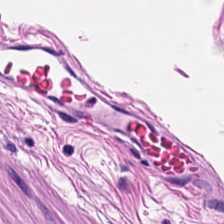H&E — smooth-muscle tissue.
